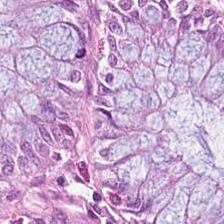Q: What does this patch show?
A: It is normal colon mucosa.
